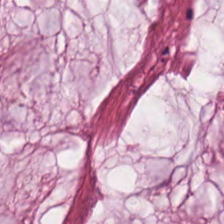H&E stain.
Classification = extracellular mucin.
